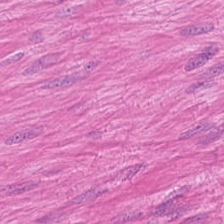Hematoxylin and eosin — Showing muscularis.
